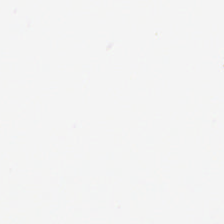H&E-stained tissue section · 224×224 px patch. Q: Classify this patch.
A: This is no tissue.
